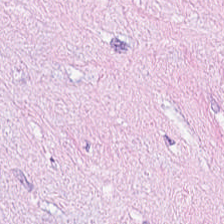H&E stain.
Showing tumor-associated stroma.
